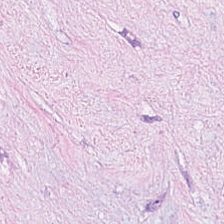H&E; 224×224 pixel tile.
Q: What type of tissue is this?
A: This is tumor-associated stroma.
